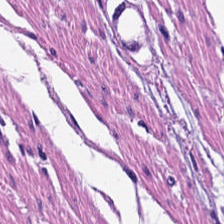This field is muscularis.
